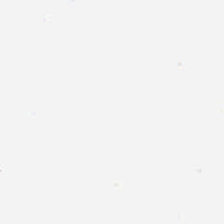H&E stain.
The classification is no tissue.
